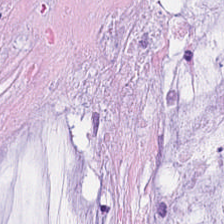Hematoxylin-and-eosin stained section. WSI patch. 0.5 µm/px. The tissue type is mucin.
